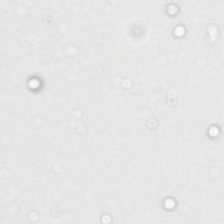Q: What does this patch show?
A: Background (no tissue).
